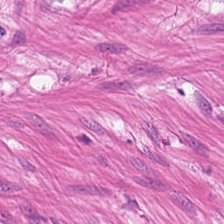This patch shows smooth-muscle tissue.
